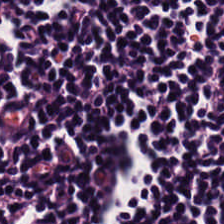Stain: H&E stain.
Preparation: FFPE tissue section.
Tissue type: lymphocytes.
